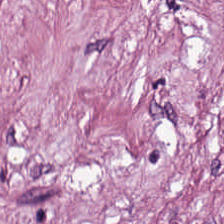H&E stain — Q: What does this patch show?
A: Tumor-associated stroma.
